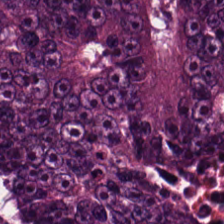Hematoxylin-and-eosin stained section. WSI patch.
Finding → adenocarcinoma.
